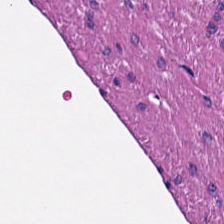Q: What does this patch show?
A: The field shows smooth muscle.
